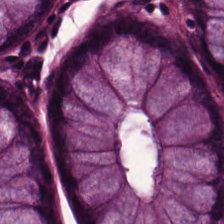H&E stain; brightfield microscopy.
Predominantly benign colonic mucosa.
